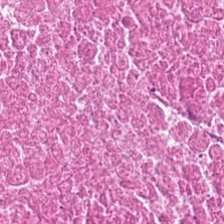H&E stain.
Predominant tissue: debris.
